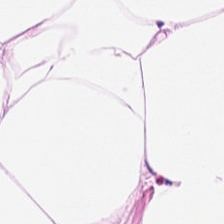FFPE tissue section · H&E.
Classification — adipose tissue.
